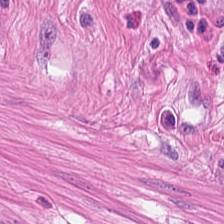H&E. Histology → smooth-muscle tissue.
